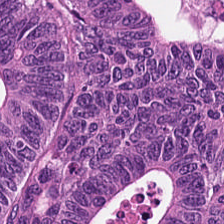H&E · brightfield microscopy · 20× equivalent magnification — Q: What type of tissue is this?
A: It is colorectal adenocarcinoma epithelium.
